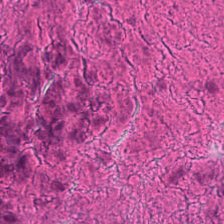Stain: H&E stain.
Acquisition: WSI patch.
Resolution: 20× equivalent magnification.
Predominant tissue: cellular debris.
